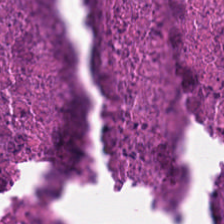H&E — Showing necrotic debris.
